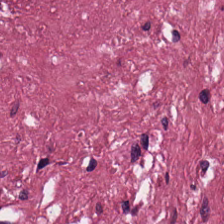Hematoxylin and eosin.
Histology — tumor stroma.
